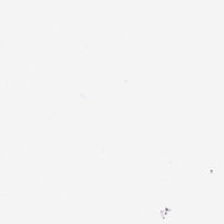H&E · brightfield · 224×224 pixel tile — No tissue present; background only.
